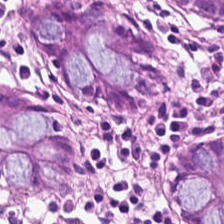Hematoxylin-and-eosin stained section. Histology → normal colonic mucosa.
